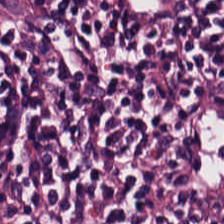Hematoxylin-and-eosin stained section. Predominant tissue = lymphocyte aggregate.
